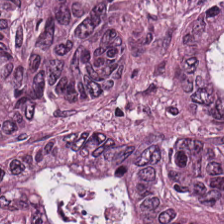H&E-stained tissue section.
The tissue here is colorectal adenocarcinoma epithelium.
